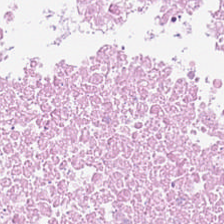This patch shows debris.
